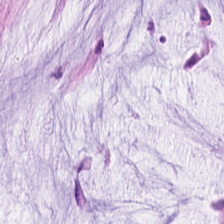The tissue class is mucin.
